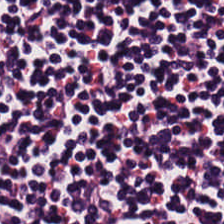FFPE tissue section · hematoxylin-and-eosin stained section — Q: What is shown in this field?
A: It is lymphocytic infiltrate.
